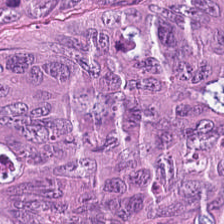Hematoxylin and eosin. Impression → malignant epithelium.
